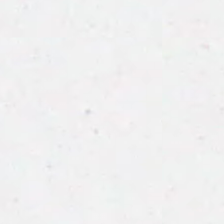Content: background.
